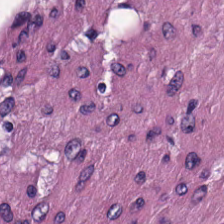Hematoxylin-and-eosin stained section.
This patch shows smooth-muscle tissue.
